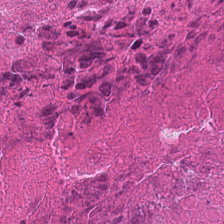H&E stain — Predominantly cellular debris.
